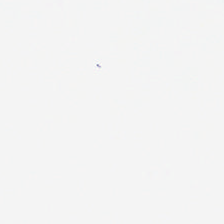Stain: hematoxylin-and-eosin stained section.
Classification: background.
